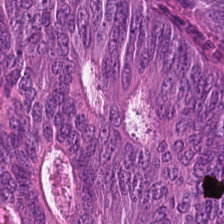Hematoxylin and eosin. Tissue class: malignant epithelium.
